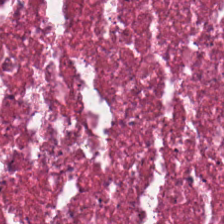Hematoxylin-and-eosin stained section — Showing debris.
